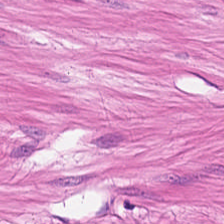Finding — muscularis.
